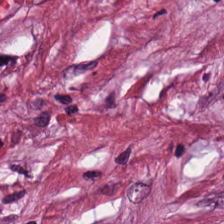The predominant tissue is tumor stroma.
